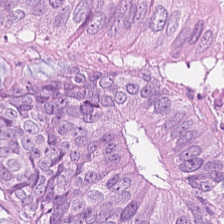Hematoxylin-and-eosin stained section. Classification: malignant epithelium.
